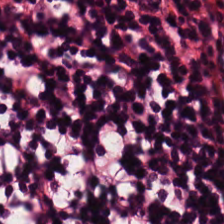Q: What does this patch show?
A: It is lymphocytes.
